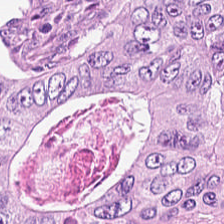Whole-slide-image patch; H&E-stained tissue section — Tissue class — colorectal adenocarcinoma epithelium.
